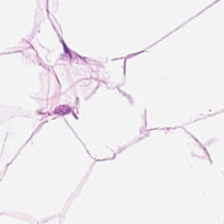FFPE; H&E stain — Predominantly fat tissue.
